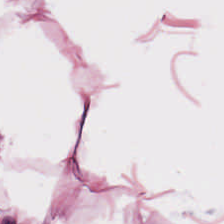Stain: hematoxylin and eosin.
Tissue: fat tissue.
